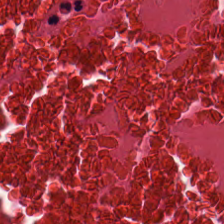Histology — necrotic debris.
